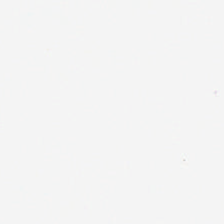H&E-stained tissue section — Field content: background (no tissue).
